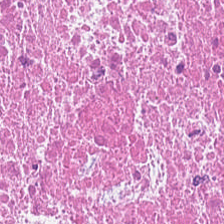Brightfield microscopy; H&E stain.
This patch shows debris.
